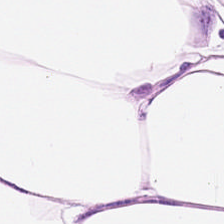Stain: H&E stain.
Preparation: FFPE.
Acquisition: brightfield.
Classification: adipocytes.
